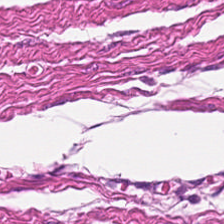H&E. This field is smooth-muscle tissue.
